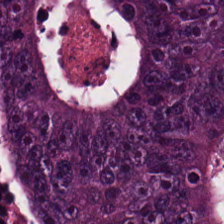Q: What tissue is shown?
A: This is colorectal adenocarcinoma epithelium.
